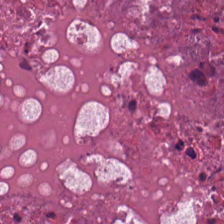Cellular debris.
